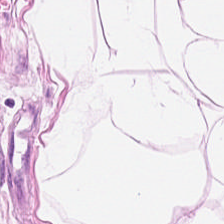224×224 px tile · H&E stain. Q: What is shown in this field?
A: This is adipocytes.
